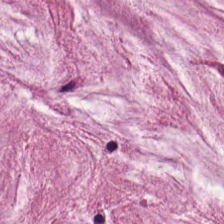H&E stain.
Extracellular mucin.
